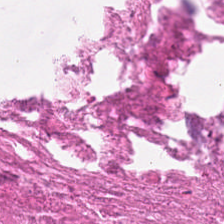0.5 microns per pixel; WSI patch; hematoxylin-and-eosin stained section — The tissue type is debris.
